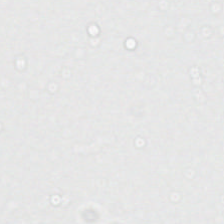H&E — Field content: no tissue.
